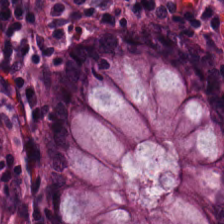H&E stain — Predominantly non-neoplastic colon mucosa.
